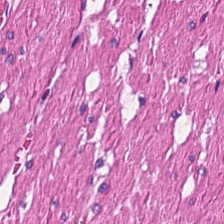Stain: hematoxylin-and-eosin stained section.
Tissue class: smooth-muscle tissue.
